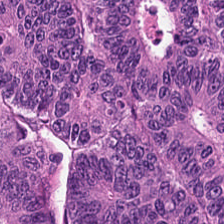Adenocarcinoma.
